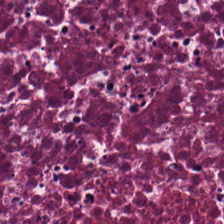224×224 px tile. Hematoxylin and eosin. Brightfield microscopy. Histology — necrotic debris.
